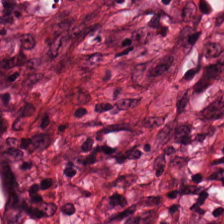This field is tumor-associated stroma.
